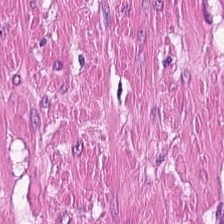Hematoxylin and eosin. Showing smooth muscle.
